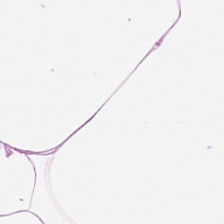224×224 pixel tile. 0.5 microns per pixel. H&E-stained tissue section — Q: What type of tissue is this?
A: The field shows adipose tissue.
